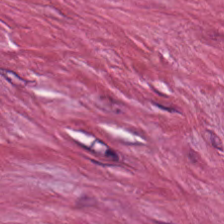Brightfield. Hematoxylin-and-eosin stained section.
Tissue — tumor stroma.
